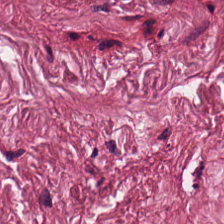0.5 microns per pixel · WSI patch · hematoxylin and eosin.
{"tissue_type": "tumor-associated stroma"}
